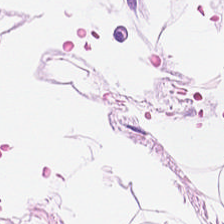224×224 pixel tile; H&E-stained tissue section.
Classification: adipocytes.
